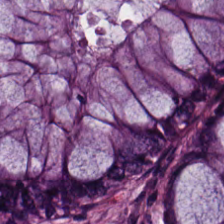H&E.
Tissue type = normal colonic mucosa.
